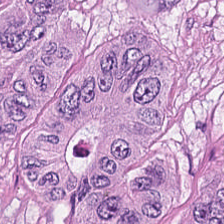Hematoxylin-and-eosin stained section. Q: What is shown here?
A: It is tumor epithelium.
